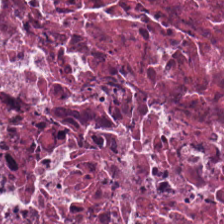Hematoxylin-and-eosin stained section.
This patch shows cellular debris.
